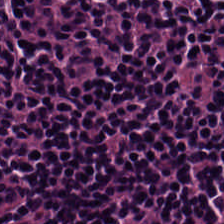H&E stain. Q: What is shown here?
A: It is lymphocytic infiltrate.
